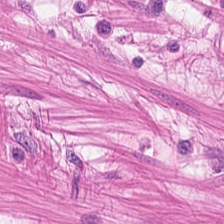H&E stain. Finding → smooth muscle.
